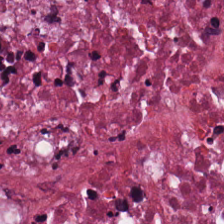WSI patch. H&E.
Q: What tissue is shown?
A: This is necrotic debris.
